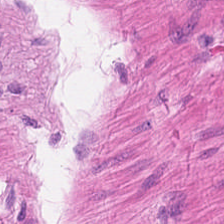224×224 px tile. Formalin-fixed paraffin-embedded section. H&E stain. Classification — muscularis.
